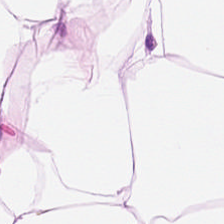Impression — adipose tissue.
